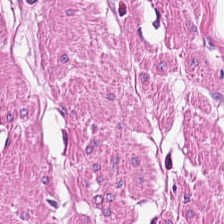H&E — smooth muscle.
